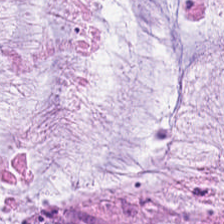Hematoxylin-and-eosin stained section. Formalin-fixed paraffin-embedded section. 0.5 µm per pixel. Classification — extracellular mucin.
